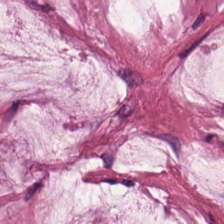The tissue is mucus.
